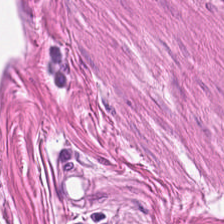This patch shows muscularis.
